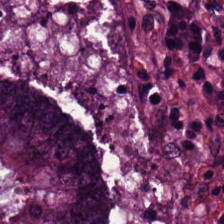H&E — Q: What tissue type is shown here?
A: This is malignant epithelium.
